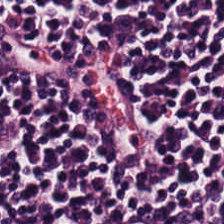Q: What tissue type is shown here?
A: Lymphocyte aggregate.
